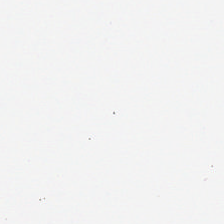Hematoxylin-and-eosin stained section.
Background — no tissue in this field.
